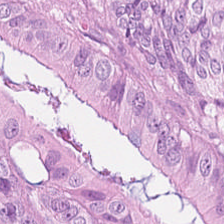This patch shows colorectal adenocarcinoma.
